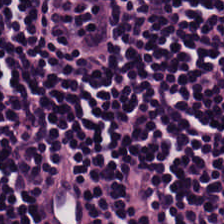FFPE tissue section · H&E. The predominant tissue is lymphocytic infiltrate.
